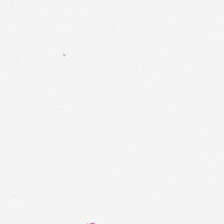H&E.
Classification: background.
